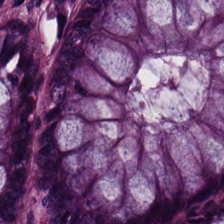Whole-slide-image patch. 224×224 px patch. Hematoxylin and eosin.
{"tissue_type": "non-neoplastic colon mucosa"}
